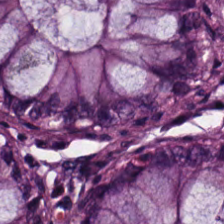H&E.
Q: Classify this patch.
A: It is normal colonic mucosa.
